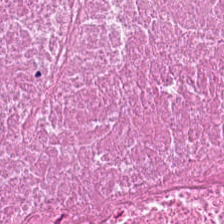H&E-stained tissue section; 0.5 µm per pixel; 224×224 pixel tile. Tissue class — necrotic debris.
